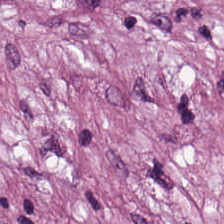H&E stain. {"tissue_type": "cancer-associated stroma"}
